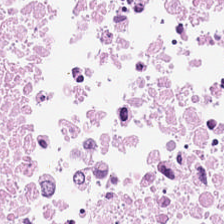Hematoxylin and eosin — Q: What is shown here?
A: This is debris.
